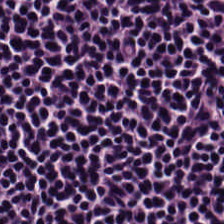H&E-stained tissue section. WSI patch. 224×224 px tile. Showing lymphocytic infiltrate.
